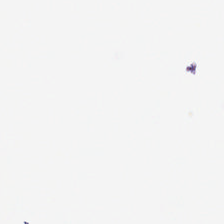Hematoxylin and eosin; whole-slide-image patch.
Q: What does this patch show?
A: This is empty background.
